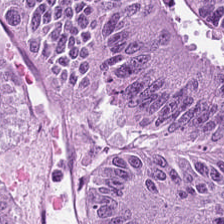H&E-stained tissue section.
Predominant tissue: tumor epithelium.
